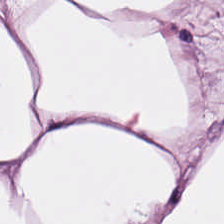Q: What type of tissue is this?
A: It is fat tissue.
